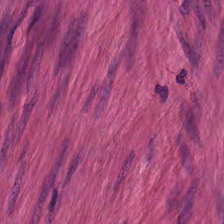Hematoxylin and eosin — The tissue class is muscularis.
